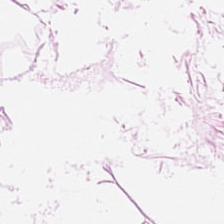H&E stain. WSI patch — Predominantly fat tissue.
